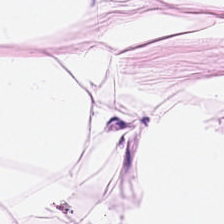H&E stain · 224×224 pixel tile.
Q: Classify this patch.
A: Adipose.
